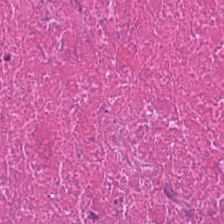Tissue type — cellular debris.
